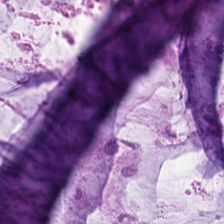Q: What tissue type is shown here?
A: This is mucin.
